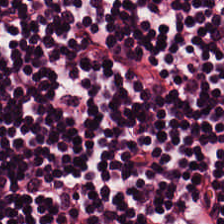Formalin-fixed paraffin-embedded section; H&E-stained tissue section.
Showing lymphocytic infiltrate.
